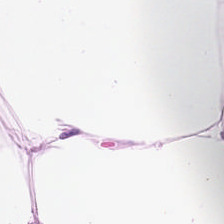Formalin-fixed paraffin-embedded section. H&E.
Tissue = adipocytes.
